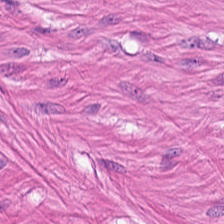H&E-stained tissue section — Tissue class — smooth-muscle tissue.
